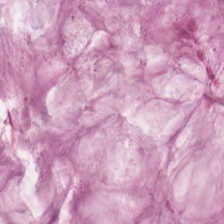Q: What is shown in this field?
A: It is mucin.
